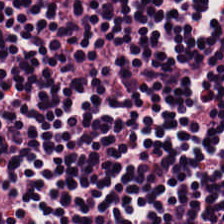H&E stain. Q: What is the predominant tissue type?
A: It is lymphocytic infiltrate.
